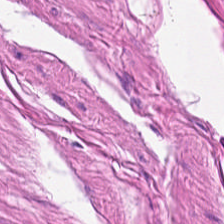Tissue class — muscularis.
